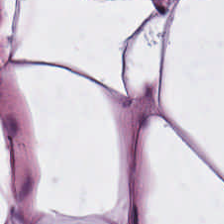0.5 µm per pixel; H&E stain. The predominant tissue is adipocytes.
